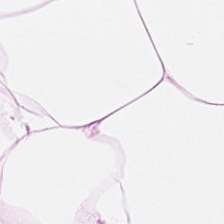H&E stain. Adipose tissue.
